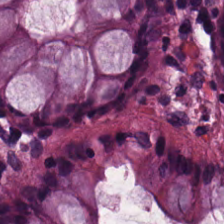Non-neoplastic colon mucosa.
